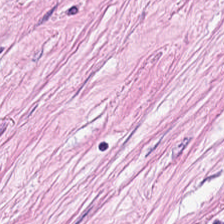H&E-stained tissue section showing tumor-associated stroma.
